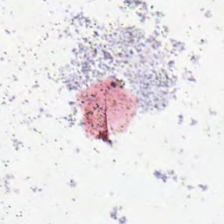0.5 µm/px · hematoxylin-and-eosin stained section — Q: Classify this patch.
A: Background.
